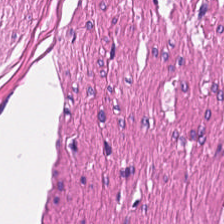Whole-slide-image patch; 224×224 pixel tile; hematoxylin and eosin. Showing smooth muscle.
